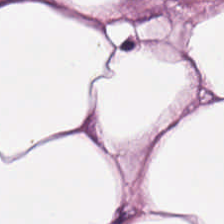Hematoxylin-and-eosin stained section. Impression — fat tissue.
